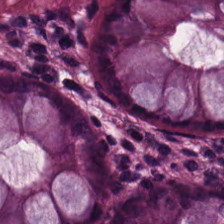Hematoxylin-and-eosin stained section. Predominant tissue: benign colonic mucosa.
